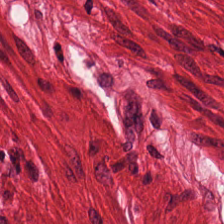224×224 px tile · brightfield · hematoxylin-and-eosin stained section.
This field is smooth muscle.
